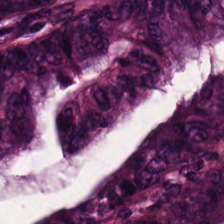Hematoxylin-and-eosin stained section · FFPE. Tissue type = colorectal adenocarcinoma epithelium.
